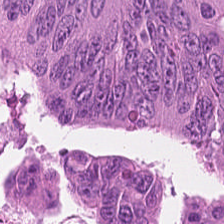Hematoxylin-and-eosin stained section.
Classification — colorectal adenocarcinoma epithelium.
